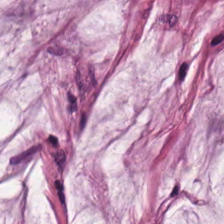Q: What is shown in this field?
A: It is mucus.
